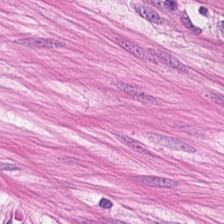Classification: muscularis.
